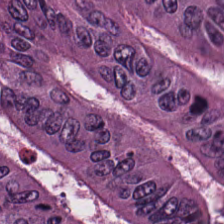224×224 pixel tile · hematoxylin and eosin — Predominant tissue: colorectal adenocarcinoma.
